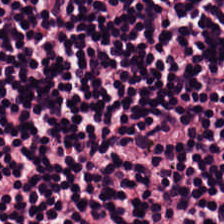H&E-stained tissue section.
Lymphocytes.
